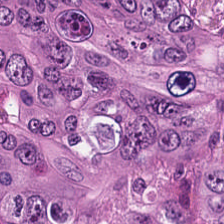Q: What is the predominant tissue type?
A: Malignant epithelium.
